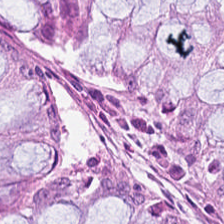H&E stain.
Q: What is the predominant tissue type?
A: This is benign colonic mucosa.
